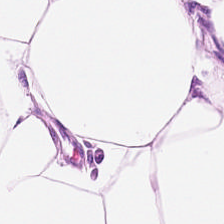Q: What is shown in this field?
A: The field shows adipose tissue.
